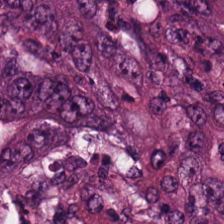224×224 pixel tile · H&E-stained tissue section · whole-slide-image patch. Impression — adenocarcinoma.
